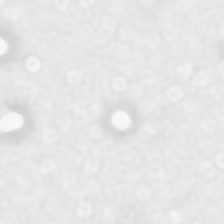Stain: H&E-stained tissue section.
Content: background (no tissue).
